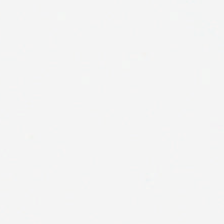Histology — background.
